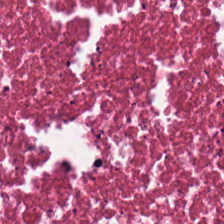Tissue = debris.
